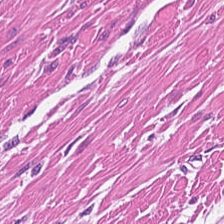Hematoxylin-and-eosin stained section. Whole-slide-image patch. This field is smooth-muscle tissue.
